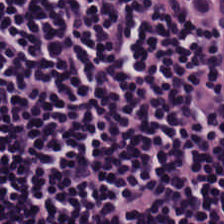Formalin-fixed paraffin-embedded section; H&E — Predominant tissue = lymphocyte aggregate.
